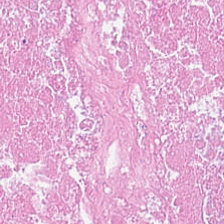{"tissue_type": "necrotic debris"}
